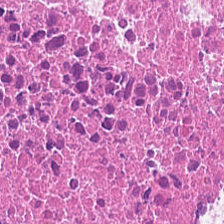20× equivalent magnification · H&E stain.
Q: What is shown here?
A: This is debris.
